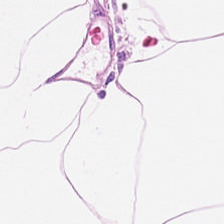0.5 µm per pixel. Hematoxylin and eosin. FFPE tissue section — The tissue here is adipose.
